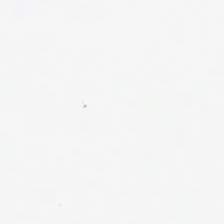H&E stain · 0.5 µm/px. Classification — background (no tissue).
